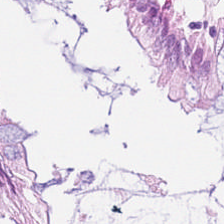Classification = normal colon mucosa.
